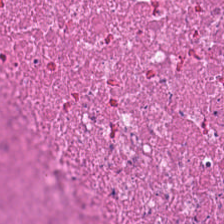Predominantly cellular debris.
